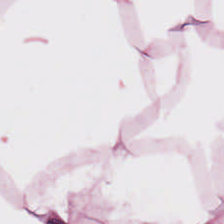Brightfield. Hematoxylin and eosin.
This field is adipose tissue.
